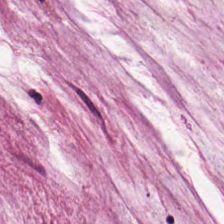Impression — mucus.
